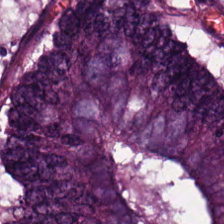Hematoxylin-and-eosin stained section.
Histology — colorectal adenocarcinoma.
